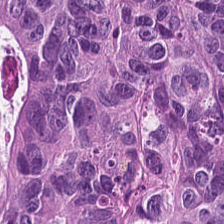0.5 µm/px · hematoxylin and eosin.
Predominant tissue — tumor epithelium.
